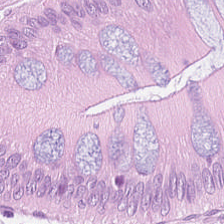H&E · formalin-fixed paraffin-embedded section. The predominant tissue is non-neoplastic colon mucosa.
